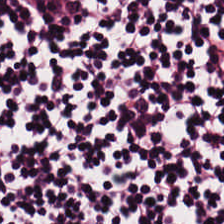{"tissue_type": "lymphocyte aggregate"}
